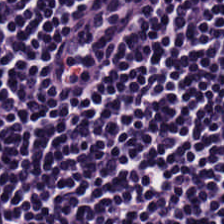FFPE tissue section · H&E-stained tissue section · whole-slide-image patch. Classification: lymphocytes.
